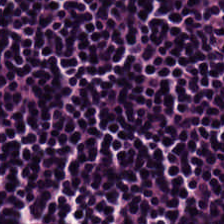Stain: H&E-stained tissue section.
Classification: lymphocytes.
